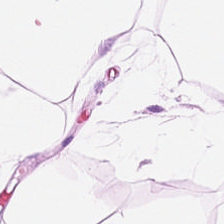H&E-stained tissue section showing adipose.
